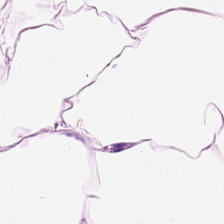Stain: H&E-stained tissue section.
Tissue type: adipocytes.
